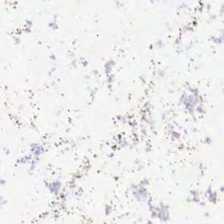H&E-stained tissue section. 224×224 px patch.
{"content": "background"}
